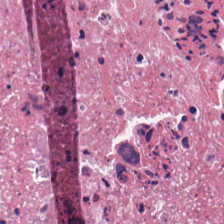H&E. Tissue: debris.
